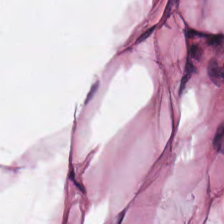Hematoxylin and eosin. 0.5 microns per pixel. Q: What type of tissue is this?
A: It is adipocytes.
